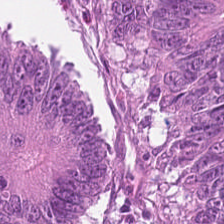Stain: hematoxylin and eosin.
Predominant tissue: malignant epithelium.
